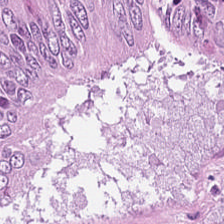Tissue class — adenocarcinoma.
